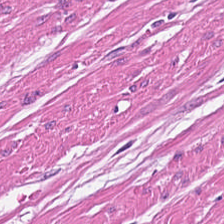H&E · brightfield microscopy. Q: What tissue is shown?
A: This is smooth-muscle tissue.
